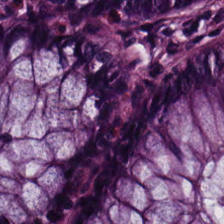H&E-stained tissue section.
Non-neoplastic colon mucosa.
